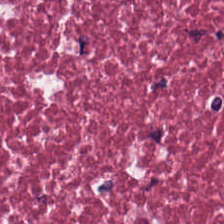Predominant tissue — cancer-associated stroma.
